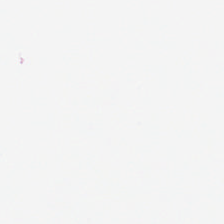H&E-stained tissue section.
Q: Classify this patch.
A: The field shows empty background.
